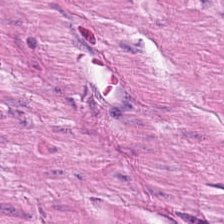H&E-stained tissue section. Classification = muscularis.
